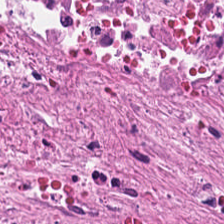Hematoxylin-and-eosin stained section. Classification: necrotic debris.
